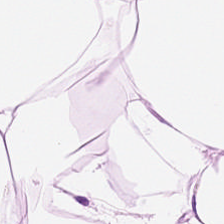Hematoxylin and eosin. The classification is adipose.
